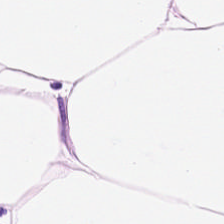Hematoxylin-and-eosin stained section.
Tissue type = fat tissue.
